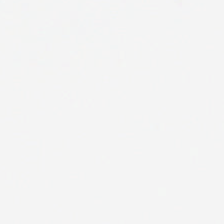H&E stain.
Q: What is shown in this field?
A: The field shows background.
